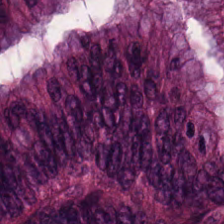Hematoxylin and eosin. 0.5 µm per pixel. Showing malignant epithelium.
